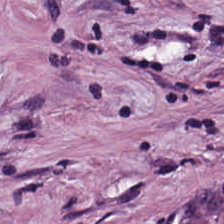H&E stain — Q: What tissue type is shown here?
A: The field shows tumor stroma.
